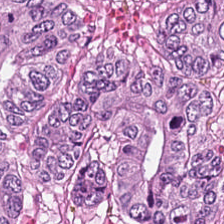224×224 px patch; H&E-stained tissue section — The tissue is malignant epithelium.
